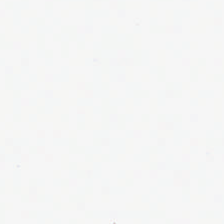Stain: H&E.
Field content: no tissue.
